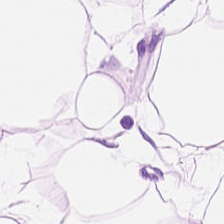224×224 px patch · H&E stain.
Classification: adipose tissue.
